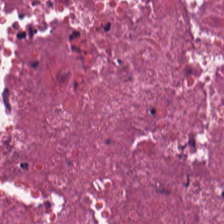H&E. Predominant tissue = debris.
